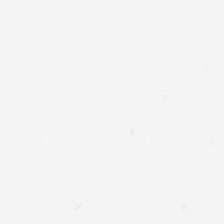0.5 µm/px · 224×224 pixel tile · hematoxylin-and-eosin stained section — The field content is background (no tissue).
